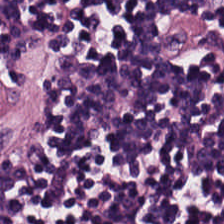Q: Identify the tissue.
A: This is lymphocytes.
